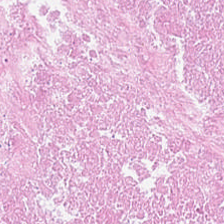H&E.
Predominant tissue: necrotic debris.
